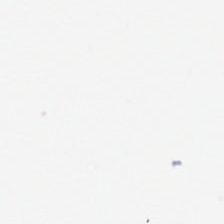Background (no tissue).
